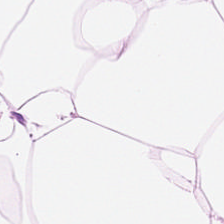Showing fat tissue.
